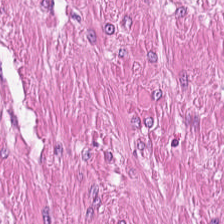Finding — smooth muscle.
